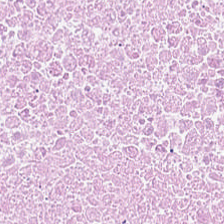H&E-stained section; the field shows debris.
